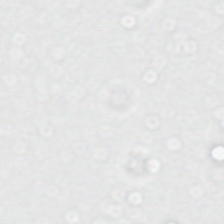Stain: H&E.
Acquisition: brightfield microscopy.
Classification: empty background.
